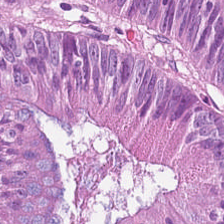Hematoxylin and eosin.
Tissue class: colorectal adenocarcinoma epithelium.
